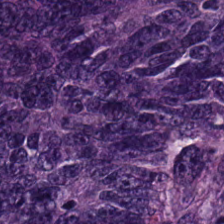0.5 µm per pixel · 224×224 px tile · H&E stain. Q: Classify this patch.
A: It is malignant epithelium.
